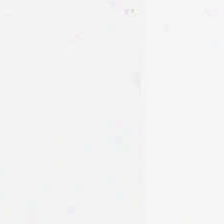Stain: H&E-stained tissue section.
Classification: background.
